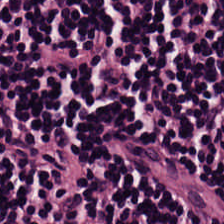Tissue type: lymphocytic infiltrate.
